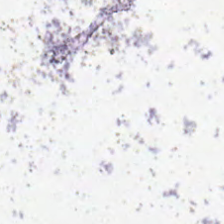Hematoxylin-and-eosin stained section.
Empty field — background.
